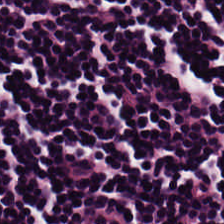H&E.
Q: What does this patch show?
A: This is lymphoid infiltrate.
